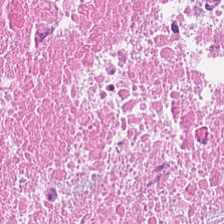H&E. Cellular debris.
